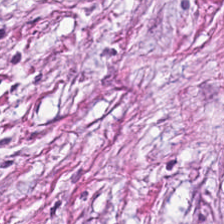H&E stain.
Histology — tumor-associated stroma.
